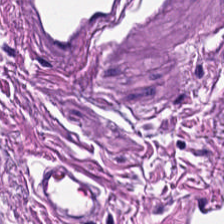Stain: H&E stain.
Tile size: 224×224 px tile.
Tissue type: smooth-muscle tissue.
